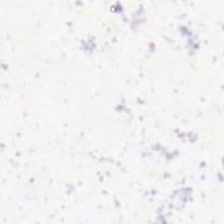H&E stain. The field content is background.
